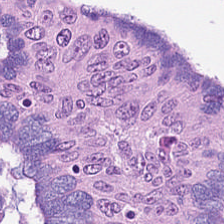Impression → adenocarcinoma.
